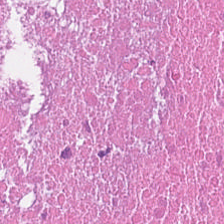H&E; 224×224 px tile. Q: What is shown here?
A: The field shows necrotic debris.
